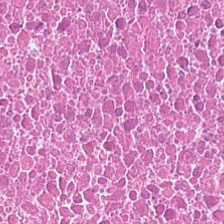H&E stain. Necrotic debris.
